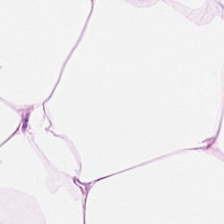H&E.
Histology — adipocytes.
